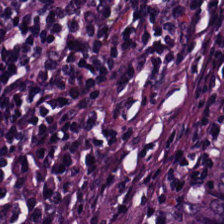FFPE; H&E-stained tissue section. Q: What is the predominant tissue type?
A: Lymphoid infiltrate.
